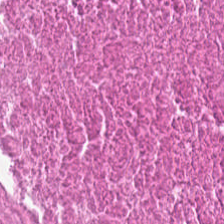Brightfield. 0.5 microns per pixel. H&E.
{"tissue_type": "debris"}
